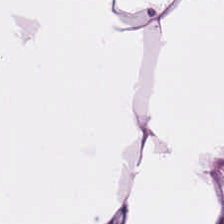Stain: H&E-stained tissue section.
Tile size: 224×224 px patch.
Tissue class: fat tissue.
